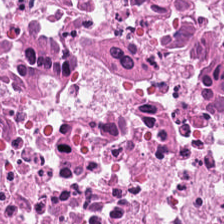Q: Classify this patch.
A: The field shows necrotic debris.
